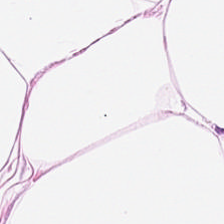0.5 µm/px. H&E-stained tissue section. The predominant tissue is fat tissue.
